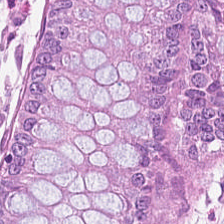H&E-stained tissue section showing benign colonic mucosa.
